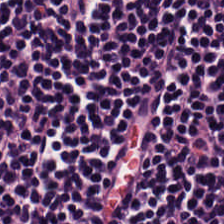H&E stain. Tissue class — lymphocyte aggregate.
